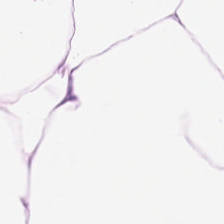The predominant tissue is adipocytes.
